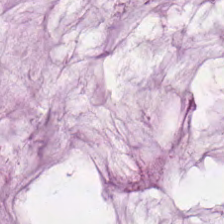The tissue class is mucus.
